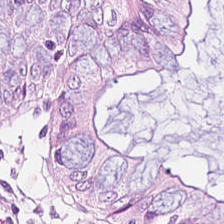Stain: H&E stain.
Tissue: normal colon mucosa.
